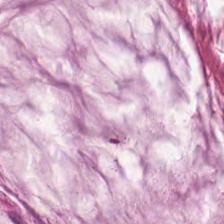0.5 µm per pixel · hematoxylin and eosin · whole-slide-image patch.
Finding — mucus.
